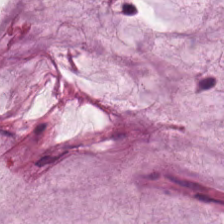Formalin-fixed paraffin-embedded section · hematoxylin-and-eosin stained section — Histology → extracellular mucin.
